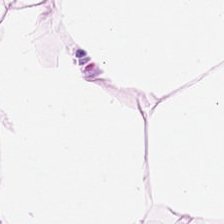Hematoxylin-and-eosin stained section. 224×224 pixel tile — This patch shows adipose tissue.
